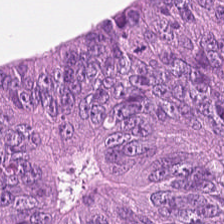Brightfield microscopy. Hematoxylin-and-eosin stained section. 224×224 px patch — Q: Identify the tissue.
A: This is adenocarcinoma.
